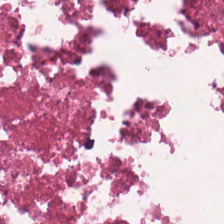Hematoxylin and eosin. Showing necrotic debris.
